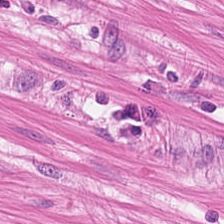H&E stain.
Smooth-muscle tissue.
